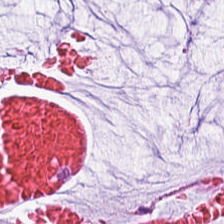H&E; brightfield microscopy.
Predominant tissue — mucus.
